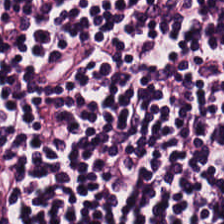H&E — The tissue type is lymphocytic infiltrate.
